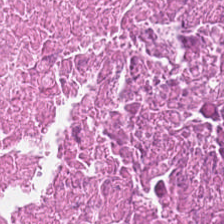Hematoxylin and eosin — Q: What is shown here?
A: This is debris.
